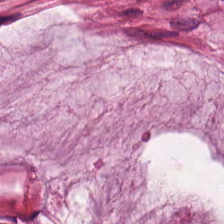Formalin-fixed paraffin-embedded section · H&E stain. Tissue: mucus.
